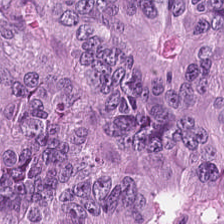The tissue here is tumor epithelium.
